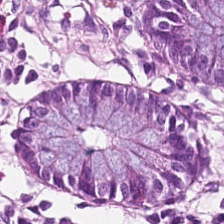Stain: hematoxylin-and-eosin stained section.
Resolution: 20× equivalent magnification.
Tissue: normal colon mucosa.
